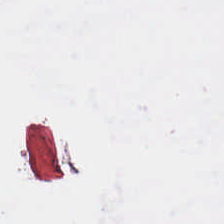0.5 µm per pixel; 224×224 px tile; H&E-stained tissue section.
Field content: no tissue.
